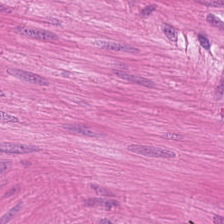Hematoxylin and eosin — Predominant tissue: smooth muscle.
